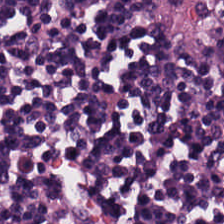Q: What type of tissue is this?
A: Lymphocytic infiltrate.
